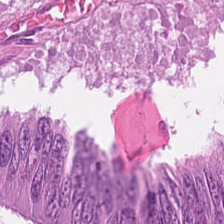H&E-stained tissue section · 224×224 px tile.
Predominantly colorectal adenocarcinoma.
